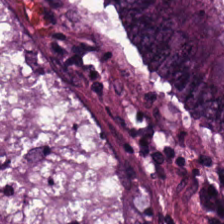Stain: hematoxylin-and-eosin stained section.
Resolution: 0.5 µm per pixel.
Classification: malignant epithelium.
